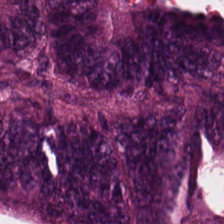Hematoxylin-and-eosin stained section. 0.5 µm per pixel. FFPE.
The predominant tissue is adenocarcinoma.
